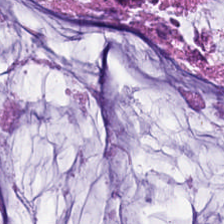H&E — Showing extracellular mucin.
